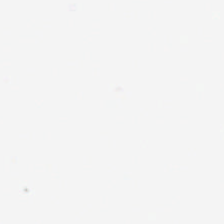H&E · brightfield microscopy · 224×224 pixel tile — Background (no tissue).
